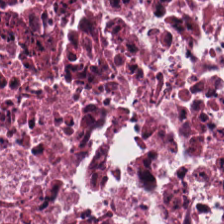Stain: H&E stain.
Predominant tissue: necrotic debris.
